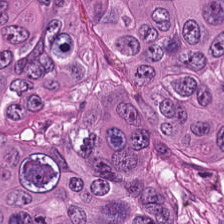Brightfield · H&E-stained tissue section — Histology → colorectal adenocarcinoma epithelium.
